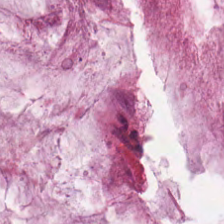H&E-stained tissue section.
Classification = extracellular mucin.
